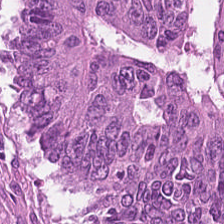Q: What tissue is shown?
A: This is adenocarcinoma.
